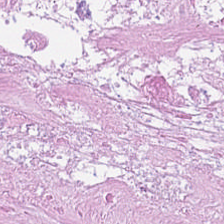Histology → cellular debris.
